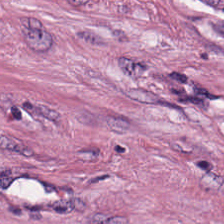H&E stain.
This patch shows cancer-associated stroma.
